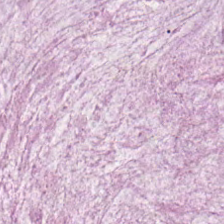Stain: H&E stain.
Preparation: FFPE.
Tissue type: mucin.
